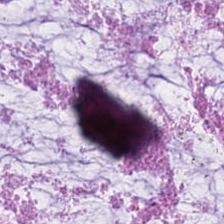H&E stain.
Q: What is shown in this field?
A: It is extracellular mucin.
